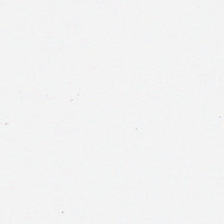This field is background (no tissue).
